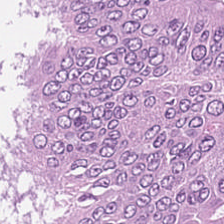0.5 microns per pixel; hematoxylin-and-eosin stained section. Tissue type = tumor epithelium.
